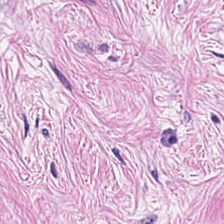Hematoxylin-and-eosin stained section. Tissue type: tumor-associated stroma.
